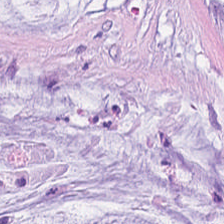H&E. Brightfield microscopy. Formalin-fixed paraffin-embedded section. Extracellular mucin.
